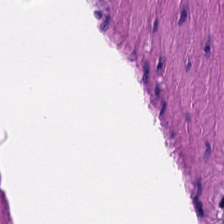H&E stain. FFPE.
{"tissue_type": "smooth muscle"}
